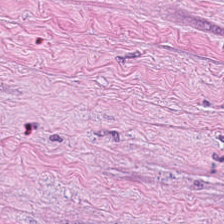H&E patch showing tumor stroma.
